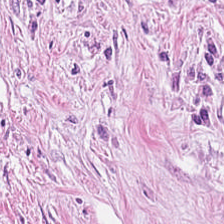Hematoxylin-and-eosin stained section · 0.5 µm/px.
Predominant tissue — tumor stroma.
